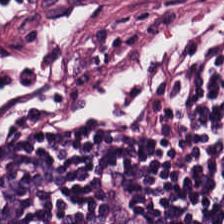0.5 microns per pixel · hematoxylin-and-eosin stained section — Tissue type = lymphocytes.
